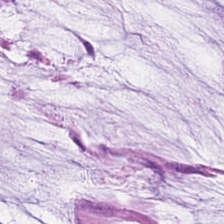H&E-stained tissue section. Showing mucin.
